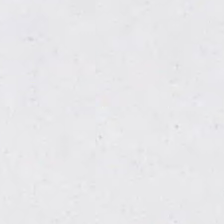Stain: H&E.
Field content: empty background.
